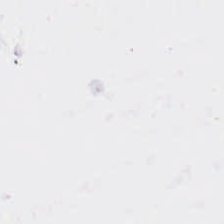Classification — empty background.
